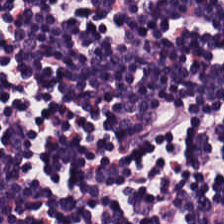H&E-stained tissue section. Lymphoid infiltrate.
